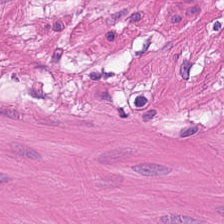FFPE tissue section; H&E. Q: Classify this patch.
A: The field shows smooth-muscle tissue.
